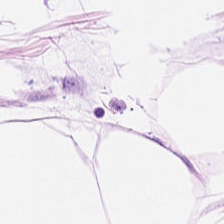Q: Classify this patch.
A: This is adipose tissue.
